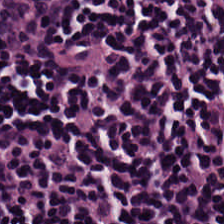H&E-stained tissue section showing lymphocyte aggregate.
